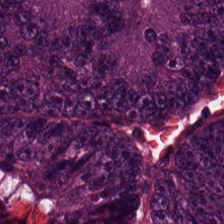H&E.
{"tissue_type": "colorectal adenocarcinoma epithelium"}
